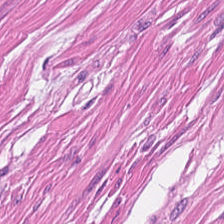Showing smooth-muscle tissue.
